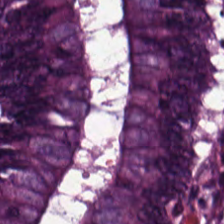H&E — {"tissue_type": "malignant epithelium"}
